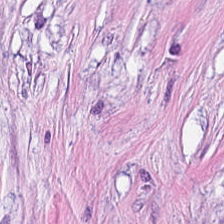Formalin-fixed paraffin-embedded section · H&E-stained tissue section.
Predominantly desmoplastic stroma.
